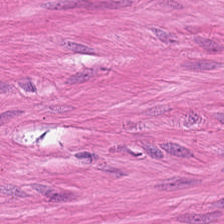H&E stain.
Classification: smooth-muscle tissue.
